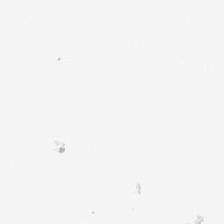H&E.
Q: Classify this patch.
A: It is empty background.
